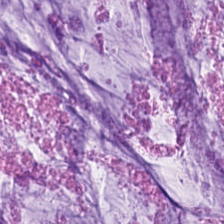Hematoxylin-and-eosin stained section.
Q: Identify the tissue.
A: Mucin.
